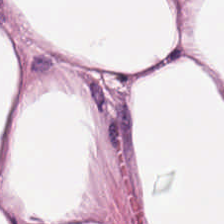Q: What is shown here?
A: This is adipose.
